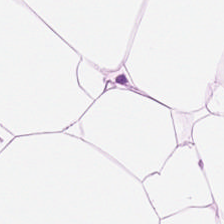Whole-slide-image patch. Hematoxylin and eosin — Tissue: adipose tissue.
